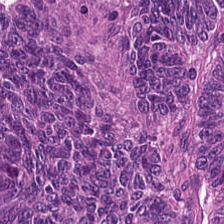0.5 microns per pixel. 224×224 px patch. Hematoxylin-and-eosin stained section.
This patch shows adenocarcinoma.
